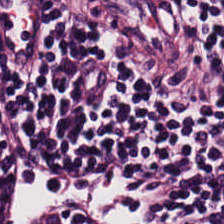Formalin-fixed paraffin-embedded section. Hematoxylin-and-eosin stained section. 224×224 px patch.
The predominant tissue is lymphocyte aggregate.
